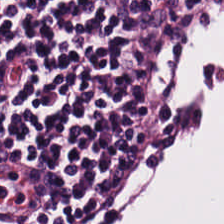Showing lymphoid infiltrate.
